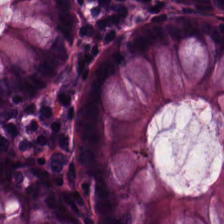H&E-stained tissue section. 224×224 pixel tile. The tissue here is benign colonic mucosa.
